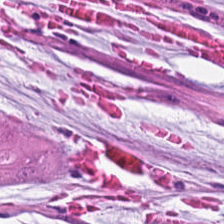WSI patch. H&E stain. Q: What does this patch show?
A: Mucin.
